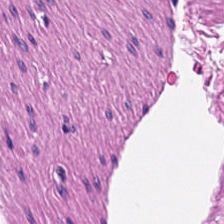Stain: hematoxylin-and-eosin stained section.
Tissue class: smooth-muscle tissue.
